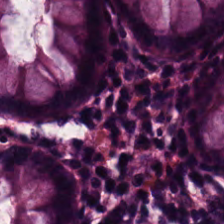H&E. Brightfield microscopy.
The predominant tissue is benign colonic mucosa.
